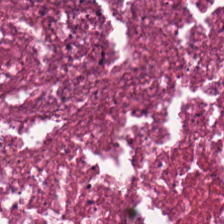Hematoxylin-and-eosin stained section.
Tissue type: necrotic debris.
